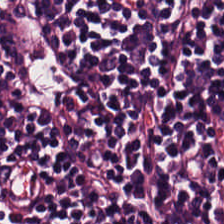Formalin-fixed paraffin-embedded section; hematoxylin-and-eosin stained section; 224×224 px tile.
The tissue here is lymphocyte aggregate.
